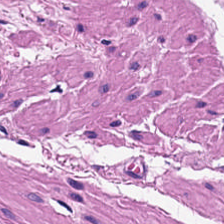{"tissue_type": "muscularis"}
